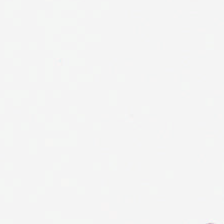This field is background (no tissue).
